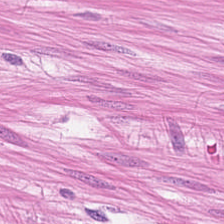0.5 µm/px; WSI patch; hematoxylin and eosin. Tissue type — muscularis.
